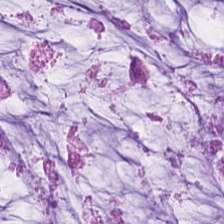FFPE · H&E stain — Predominantly extracellular mucin.
